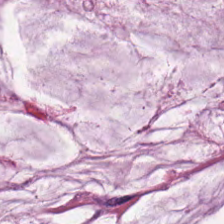0.5 µm/px. FFPE. H&E.
This field is extracellular mucin.
